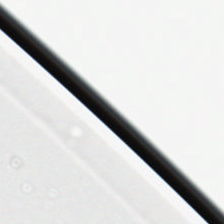H&E stain — Q: What does this patch show?
A: Background.
